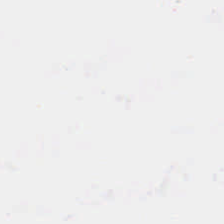Stain: hematoxylin and eosin.
Classification: no tissue.
